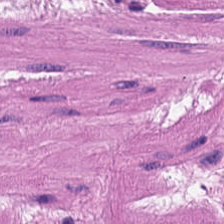Tissue type — smooth muscle.
